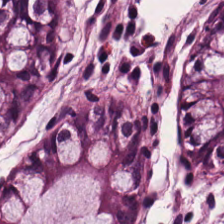224×224 px tile · hematoxylin-and-eosin stained section.
Predominantly normal colonic mucosa.
